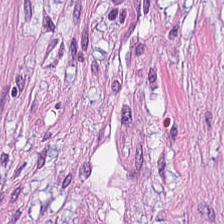Impression — tumor stroma.
